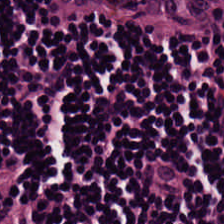Brightfield · FFPE tissue section · H&E-stained tissue section. Tissue = lymphoid infiltrate.
